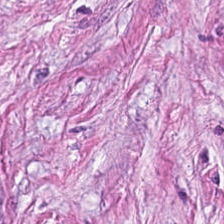H&E-stained tissue section showing tumor stroma.
